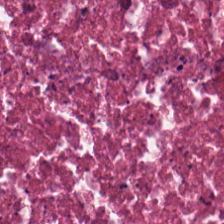Classification = necrotic debris.
